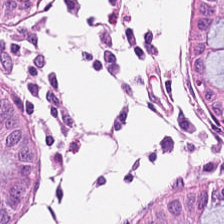H&E stain — The classification is normal colonic mucosa.
